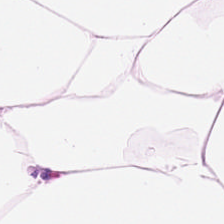FFPE tissue section. Hematoxylin-and-eosin stained section.
Showing fat tissue.
